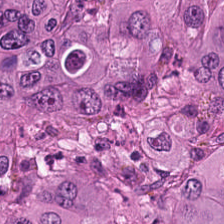H&E-stained tissue section showing colorectal adenocarcinoma epithelium.
